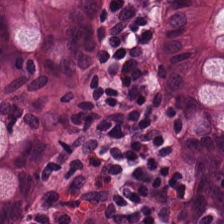Q: What tissue type is shown here?
A: Normal colonic mucosa.
